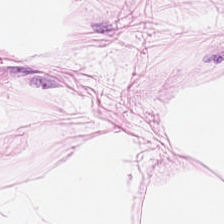Stain: hematoxylin and eosin.
Preparation: FFPE.
Tissue type: adipose tissue.
